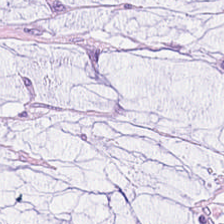H&E-stained tissue section showing extracellular mucin.
